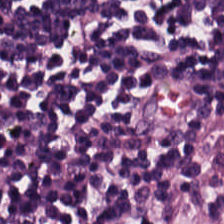FFPE tissue section; 20× equivalent magnification; H&E-stained tissue section.
Tissue: lymphocytes.
